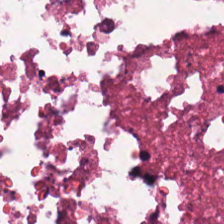Hematoxylin-and-eosin stained section. Cellular debris.
